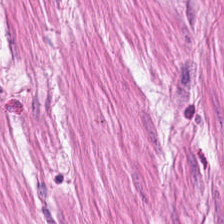H&E stain.
This field is smooth muscle.
